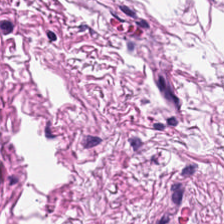Stain: hematoxylin-and-eosin stained section.
Acquisition: brightfield microscopy.
Tissue: smooth-muscle tissue.
